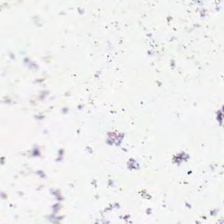Q: What is shown here?
A: Empty background.
